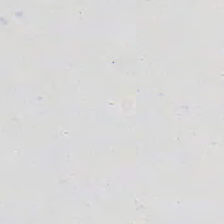H&E.
The field content is background.
